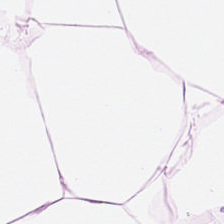FFPE tissue section. Hematoxylin and eosin. Brightfield microscopy.
Classification = adipose tissue.
